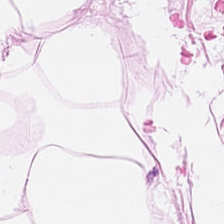224×224 px tile. H&E-stained tissue section. The tissue class is fat tissue.
